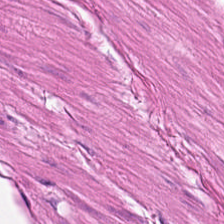H&E — Q: Identify the tissue.
A: It is smooth muscle.
